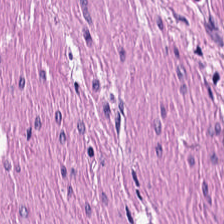H&E-stained tissue section.
The predominant tissue is smooth muscle.
